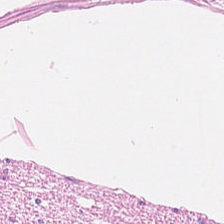This patch shows muscularis.
